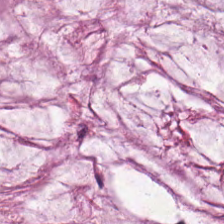Q: Identify the tissue.
A: The field shows extracellular mucin.
